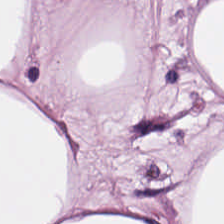{"tissue_type": "adipose tissue"}
